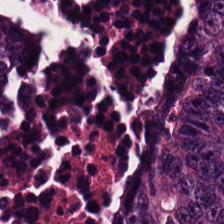Q: What is the predominant tissue type?
A: Malignant epithelium.
